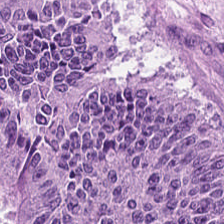H&E.
Showing colorectal adenocarcinoma.
